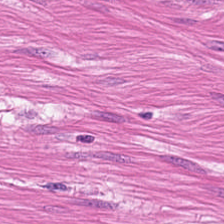Stain: H&E stain.
Resolution: 20× equivalent magnification.
Tissue type: muscularis.
